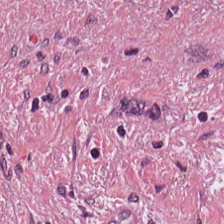Formalin-fixed paraffin-embedded section. H&E stain.
The predominant tissue is tumor stroma.
